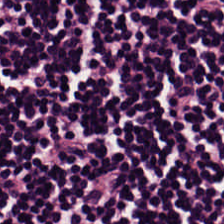Stain: H&E stain.
Tissue type: lymphocyte aggregate.
